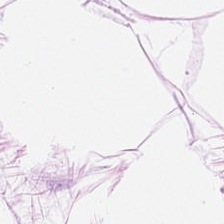Hematoxylin and eosin. Predominantly fat tissue.
